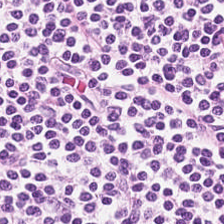224×224 px patch. H&E stain — Tissue class: lymphocyte aggregate.
